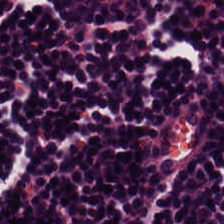H&E — lymphocytes.
